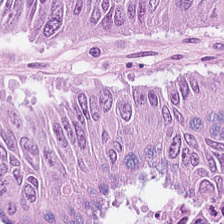Hematoxylin and eosin; FFPE. {"tissue_type": "colorectal adenocarcinoma"}
